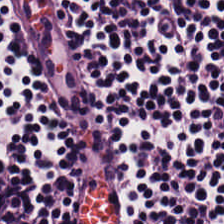H&E-stained tissue section · 224×224 px patch · 0.5 microns per pixel. The tissue here is lymphocyte aggregate.
